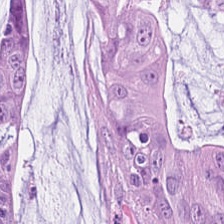Hematoxylin and eosin · FFPE tissue section. Tissue — mucin.
